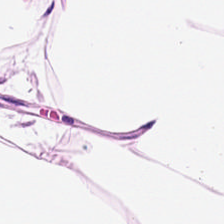Stain: H&E-stained tissue section.
Resolution: 0.5 µm/px.
Tissue: adipose tissue.
